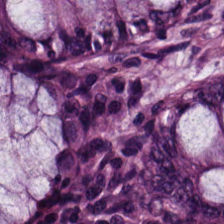H&E-stained tissue section. 20× equivalent magnification. Brightfield microscopy. {"tissue_type": "non-neoplastic colon mucosa"}
